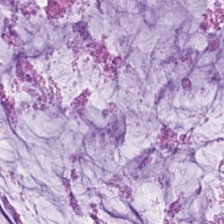H&E-stained tissue section.
This field is extracellular mucin.
